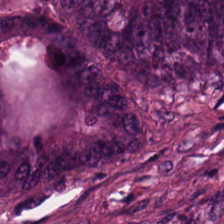Hematoxylin and eosin.
Finding → adenocarcinoma.
